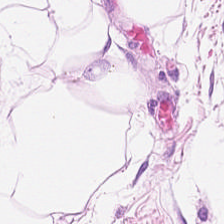This patch shows adipose tissue.
